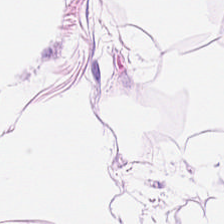Fat tissue.
